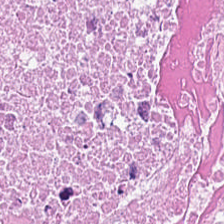Q: What tissue type is shown here?
A: Necrotic debris.
